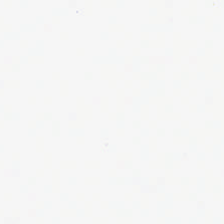Hematoxylin and eosin. Background (no tissue).
